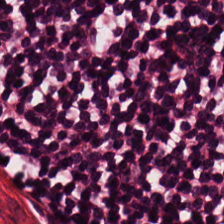Stain: H&E.
Acquisition: WSI patch.
Predominant tissue: lymphocyte aggregate.
